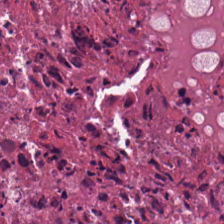FFPE · hematoxylin and eosin · 0.5 µm/px — The predominant tissue is debris.
